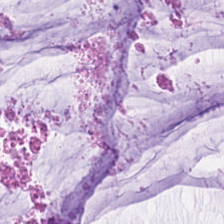H&E.
Classification = mucus.
